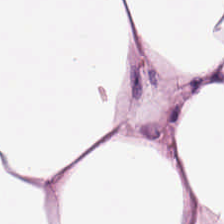Tissue class = adipose tissue.
